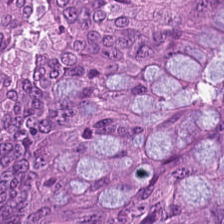H&E stain — This field is tumor epithelium.
